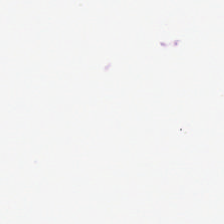Hematoxylin-and-eosin stained section — Classification: empty background.
